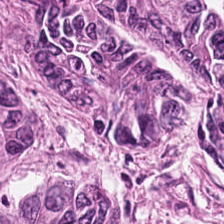Q: What tissue is shown?
A: The field shows adenocarcinoma.
